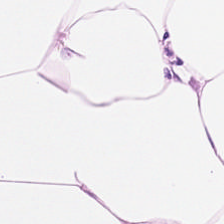H&E-stained tissue section; 0.5 µm/px; FFPE.
Fat tissue.
